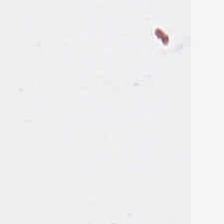Field content = background.
